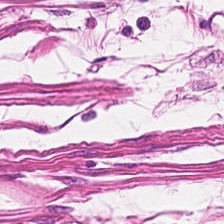Brightfield microscopy; 224×224 px patch; H&E — Predominantly smooth-muscle tissue.
